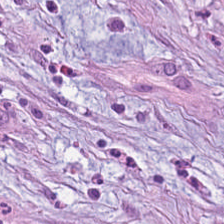H&E · 224×224 px patch · 0.5 microns per pixel — Tissue — tumor stroma.
